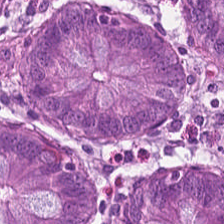H&E-stained tissue section; formalin-fixed paraffin-embedded section — The tissue here is normal colonic mucosa.
